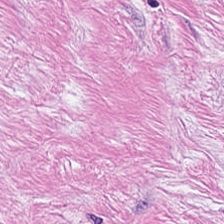Formalin-fixed paraffin-embedded section · 224×224 px patch · H&E stain. {"tissue_type": "desmoplastic stroma"}
